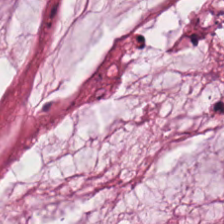H&E; 20× equivalent magnification — The tissue here is mucin.
